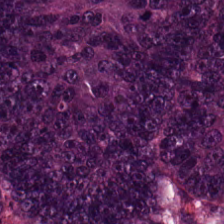H&E — malignant epithelium.
